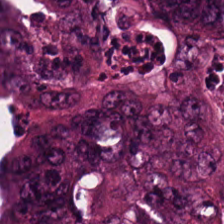H&E stain — Finding — tumor epithelium.
